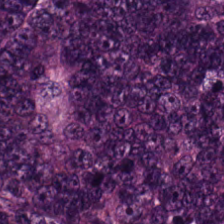FFPE tissue section; whole-slide-image patch; hematoxylin and eosin. This patch shows adenocarcinoma.
